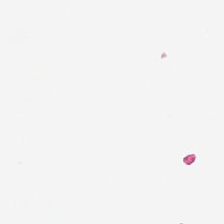Empty field — background.
